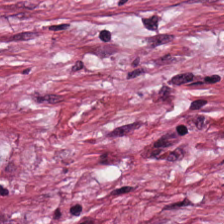Tissue type: tumor-associated stroma.
